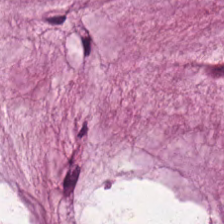Hematoxylin and eosin — Tissue — mucin.
